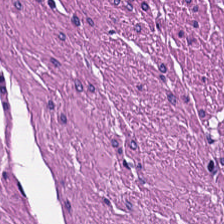Hematoxylin and eosin. Formalin-fixed paraffin-embedded section.
Predominant tissue: muscularis.
